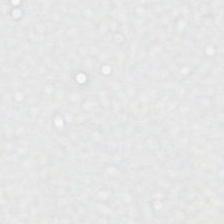Empty field — empty background.
